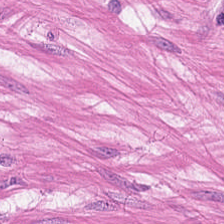Hematoxylin-and-eosin stained section; 0.5 microns per pixel.
Smooth muscle.
